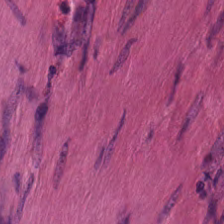H&E stain. Tissue class: smooth-muscle tissue.
